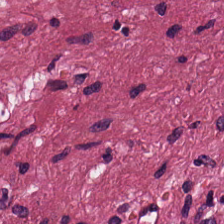Q: What is shown here?
A: This is tumor-associated stroma.
